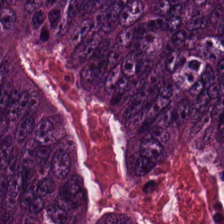H&E stain.
Adenocarcinoma.
